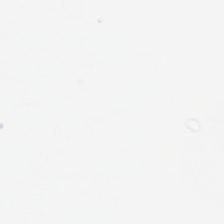Hematoxylin-and-eosin stained section. Brightfield. Empty field — background (no tissue).
